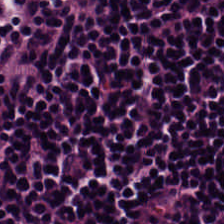Hematoxylin and eosin. Predominant tissue: lymphocytes.
